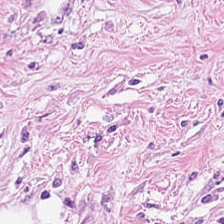Classification — tumor-associated stroma.
